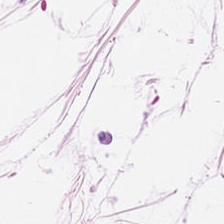20× equivalent magnification. Whole-slide-image patch. Hematoxylin-and-eosin stained section. Classification — adipose tissue.
